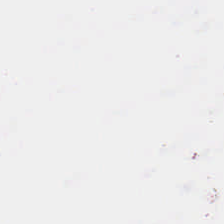H&E.
Empty field — background.
